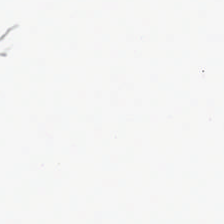Hematoxylin-and-eosin stained section.
The classification is background.
